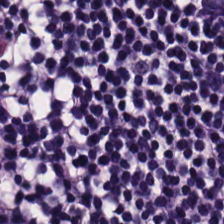Impression → lymphocytes.
